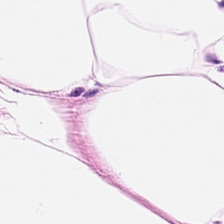The tissue is adipocytes.
